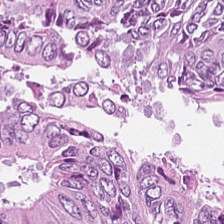Q: What does this patch show?
A: It is adenocarcinoma.
